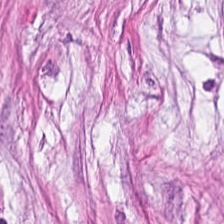H&E. Tissue type — desmoplastic stroma.
